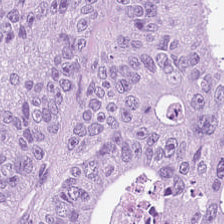Q: What does this patch show?
A: The field shows colorectal adenocarcinoma.
